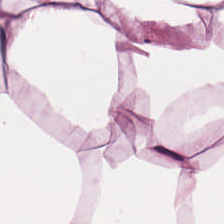Hematoxylin and eosin.
The predominant tissue is adipocytes.
